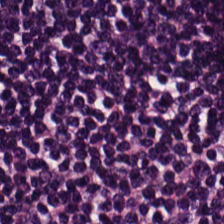{"tissue_type": "lymphoid infiltrate"}
